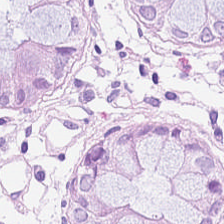{"tissue_type": "non-neoplastic colon mucosa"}
